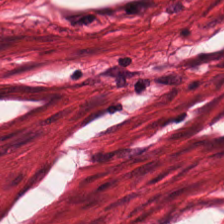H&E. Classification = smooth muscle.
